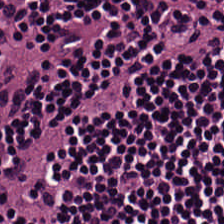This field is lymphocytic infiltrate.
